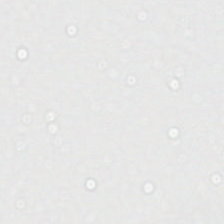0.5 microns per pixel. H&E-stained tissue section — Field content: background (no tissue).
